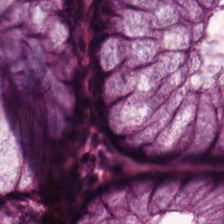Stain: H&E stain.
Tissue class: normal colon mucosa.
